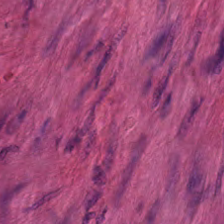Q: What is the predominant tissue type?
A: Smooth muscle.
